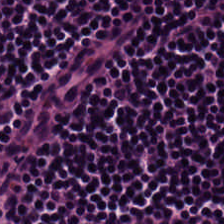H&E. 224×224 pixel tile. FFPE — This field is lymphoid infiltrate.
